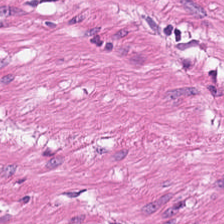Hematoxylin and eosin.
The predominant tissue is smooth muscle.
